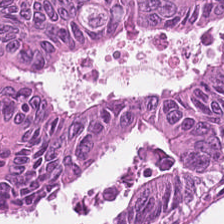Hematoxylin-and-eosin stained section.
This patch shows colorectal adenocarcinoma.
